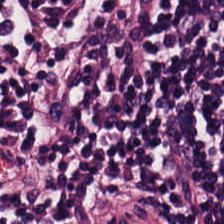Hematoxylin-and-eosin stained section.
Showing lymphocytes.
